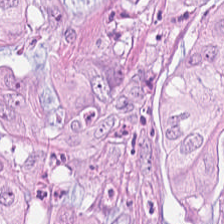H&E.
Showing colorectal adenocarcinoma epithelium.
